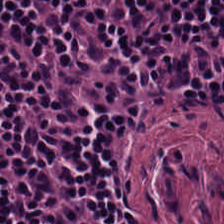FFPE tissue section. 224×224 pixel tile. H&E — Q: What is shown in this field?
A: This is lymphocyte aggregate.
